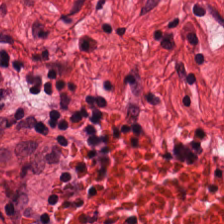H&E stain · 0.5 µm per pixel · brightfield — Predominantly smooth muscle.
